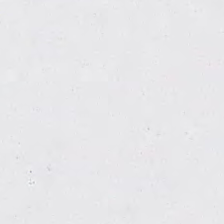Stain: hematoxylin and eosin.
Classification: empty background.
